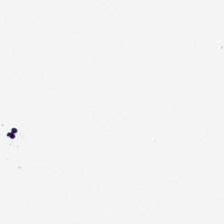Hematoxylin and eosin — Q: What is shown here?
A: Background.
